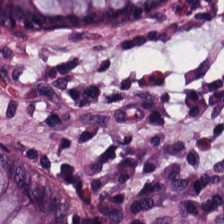H&E-stained section; the field shows normal colonic mucosa.
